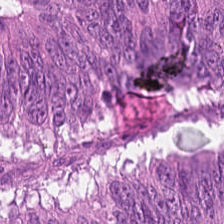224×224 px tile · FFPE tissue section · H&E stain. Predominantly malignant epithelium.
